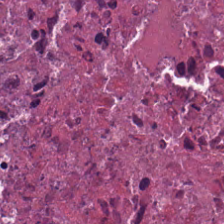Cellular debris.
